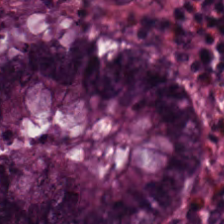Hematoxylin-and-eosin stained section — The classification is normal colonic mucosa.
